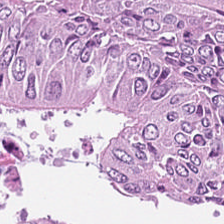Stain: H&E.
Acquisition: brightfield microscopy.
Tissue type: tumor epithelium.
